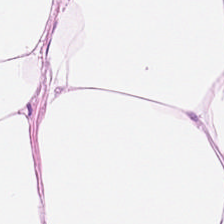Formalin-fixed paraffin-embedded section; H&E stain; WSI patch. This field is adipose.
